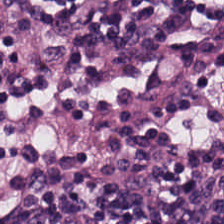H&E stain — Classification: lymphoid infiltrate.
